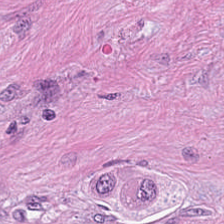H&E stain; 224×224 px tile.
The tissue type is cancer-associated stroma.
